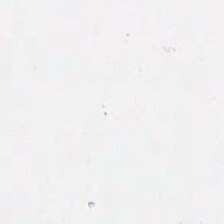Hematoxylin-and-eosin stained section — Classification: background.
